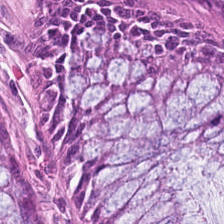H&E. This patch shows normal colon mucosa.
